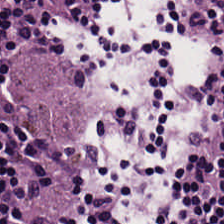H&E-stained tissue section. Predominant tissue: lymphocyte aggregate.
